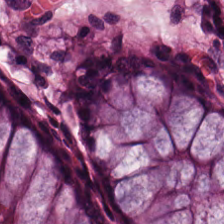Predominant tissue — normal colon mucosa.
